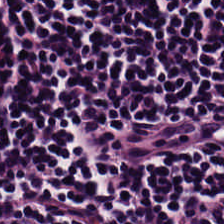Stain: H&E.
Tissue type: lymphocytes.
